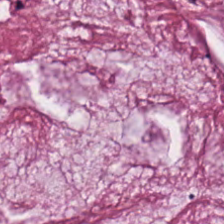Hematoxylin-and-eosin stained section. Classification — mucus.
